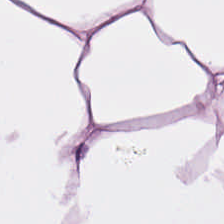0.5 µm per pixel; hematoxylin-and-eosin stained section. Predominantly adipose tissue.
